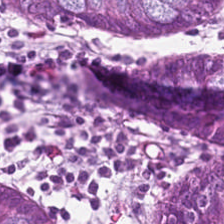Predominantly normal colonic mucosa.
